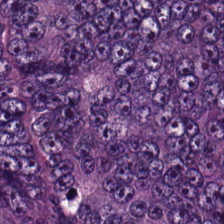H&E stain — Impression → tumor epithelium.
